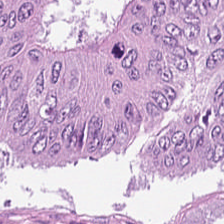Stain: hematoxylin-and-eosin stained section.
Resolution: 0.5 µm/px.
Tissue class: malignant epithelium.
